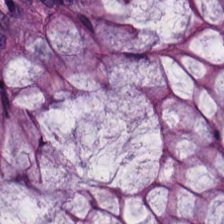Hematoxylin and eosin — Classification: normal colonic mucosa.
